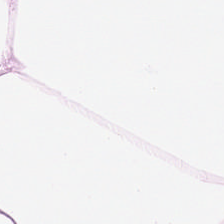Classification: adipose.
